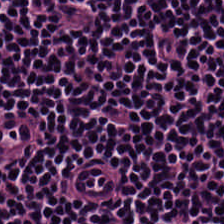Hematoxylin and eosin · FFPE — The tissue class is lymphocytic infiltrate.
